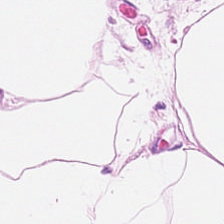Predominantly adipocytes.
